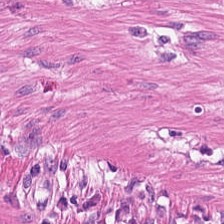H&E stain. Formalin-fixed paraffin-embedded section. This field is smooth muscle.
